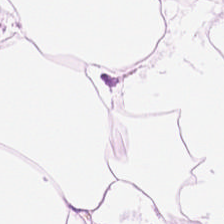224×224 px patch · H&E.
Showing fat tissue.
